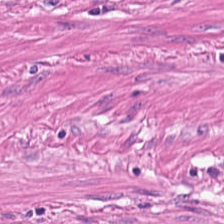Hematoxylin and eosin.
{"tissue_type": "smooth-muscle tissue"}
